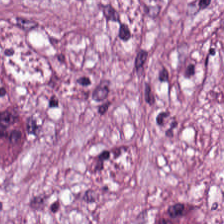{"tissue_type": "desmoplastic stroma"}
